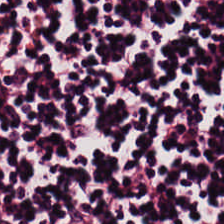Hematoxylin-and-eosin stained section.
This patch shows lymphocyte aggregate.
